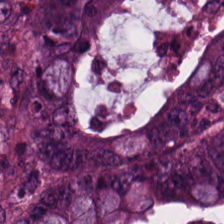Hematoxylin-and-eosin stained section · 224×224 pixel tile — The tissue is colorectal adenocarcinoma.
